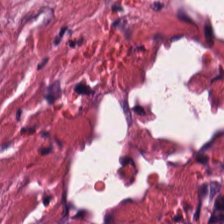The tissue is tumor-associated stroma.
